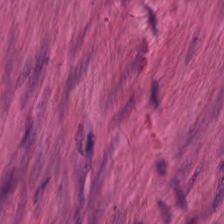Whole-slide-image patch; hematoxylin-and-eosin stained section.
Predominantly smooth muscle.
